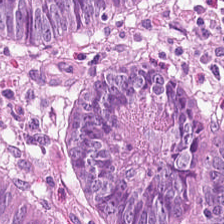Whole-slide-image patch; H&E-stained tissue section — Showing tumor epithelium.
